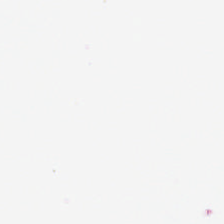224×224 px tile. H&E. Impression — background (no tissue).
